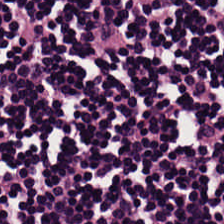0.5 microns per pixel · H&E stain · 224×224 pixel tile — Tissue: lymphocytes.
